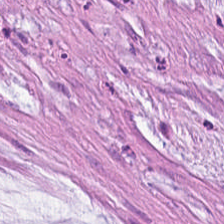H&E-stained tissue section; 224×224 px tile.
Predominantly mucus.
